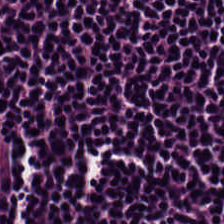224×224 px patch; H&E-stained tissue section; 0.5 µm per pixel.
Predominantly lymphocytic infiltrate.
